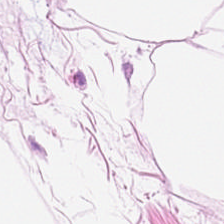Stain: H&E stain.
Tissue type: fat tissue.
